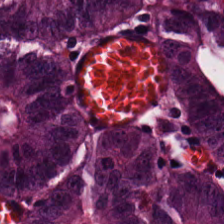H&E.
Showing tumor epithelium.
